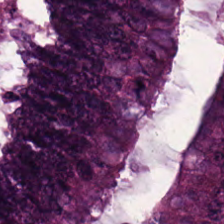H&E stain · brightfield microscopy · 0.5 microns per pixel. The tissue here is colorectal adenocarcinoma.
